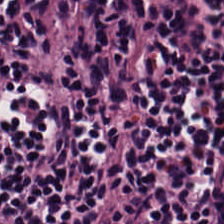{"tissue_type": "lymphocytic infiltrate"}
